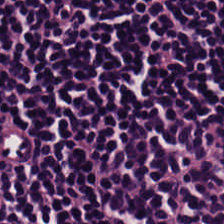H&E; FFPE tissue section; 0.5 microns per pixel. Classification = lymphocytes.
